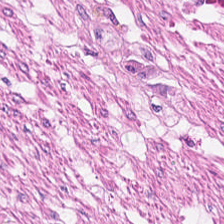Hematoxylin and eosin. This field is smooth-muscle tissue.
